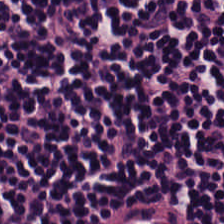H&E-stained tissue section — The tissue is lymphoid infiltrate.
